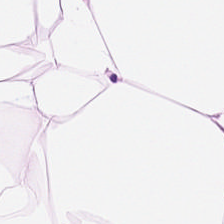Hematoxylin and eosin. 224×224 pixel tile. {"tissue_type": "fat tissue"}
